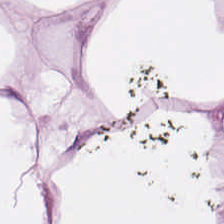Stain: H&E stain.
Acquisition: whole-slide-image patch.
Resolution: 0.5 µm/px.
Tissue: adipose.
